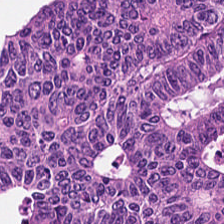H&E-stained tissue section; 224×224 px tile; formalin-fixed paraffin-embedded section — Impression → malignant epithelium.
